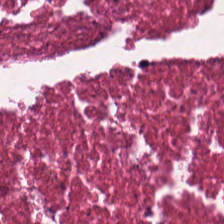Tissue = debris.
